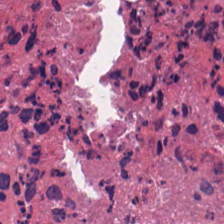Stain: H&E stain.
Classification: debris.
